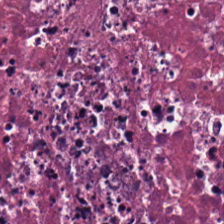H&E stain.
Q: Classify this patch.
A: Debris.
